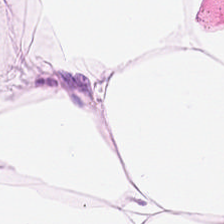H&E-stained section; the field shows adipose.
